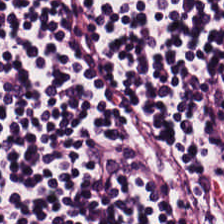H&E · 224×224 px tile — The predominant tissue is lymphocyte aggregate.
